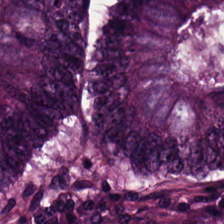H&E — Predominant tissue — colorectal adenocarcinoma epithelium.
